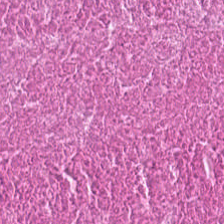H&E — Showing necrotic debris.
